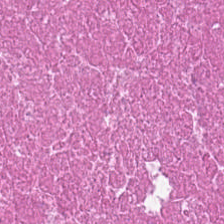H&E. {"tissue_type": "necrotic debris"}
